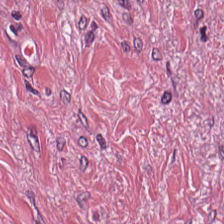H&E.
Impression → cancer-associated stroma.
